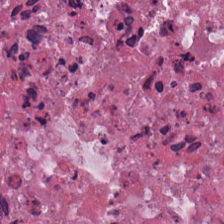Q: What is the predominant tissue type?
A: Debris.
